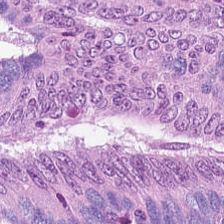Hematoxylin and eosin · 0.5 µm per pixel · WSI patch.
Q: Classify this patch.
A: It is colorectal adenocarcinoma.
